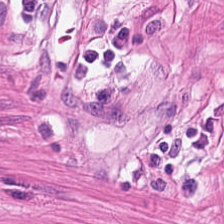Predominant tissue: muscularis.
